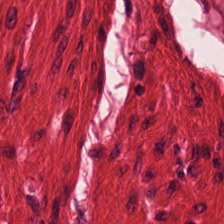Hematoxylin-and-eosin stained section — Histology → smooth-muscle tissue.
